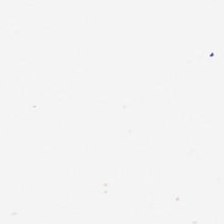Hematoxylin and eosin. Formalin-fixed paraffin-embedded section — Classification — background (no tissue).
